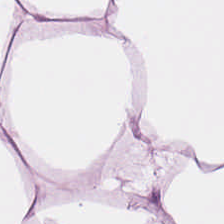H&E.
Adipocytes.
